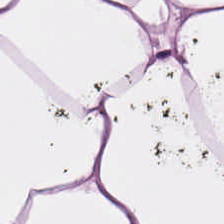Hematoxylin-and-eosin stained section. FFPE tissue section. Predominantly fat tissue.
